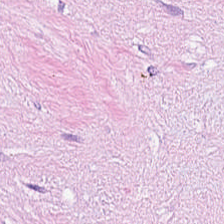Hematoxylin-and-eosin stained section. 224×224 px tile. 20× equivalent magnification — Q: Identify the tissue.
A: It is tumor stroma.
